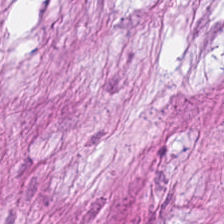Formalin-fixed paraffin-embedded section. H&E-stained tissue section.
Q: What is shown in this field?
A: Desmoplastic stroma.
